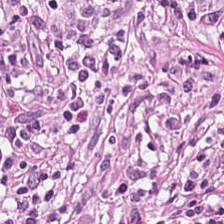H&E; brightfield. Tumor stroma.
